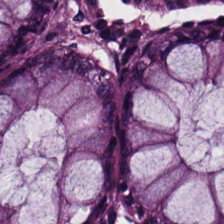Brightfield; FFPE tissue section; hematoxylin and eosin — Histology — non-neoplastic colon mucosa.
